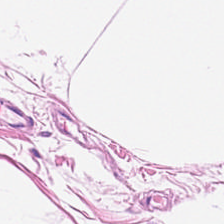H&E-stained tissue section. Showing adipose tissue.
